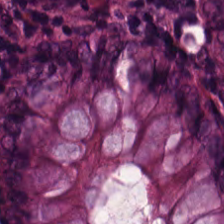Predominant tissue — normal colonic mucosa.
